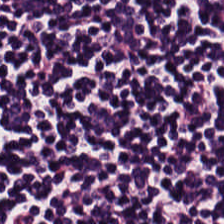H&E · 224×224 px tile · brightfield microscopy.
Impression → lymphocyte aggregate.
